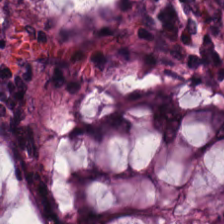H&E stain. Non-neoplastic colon mucosa.
